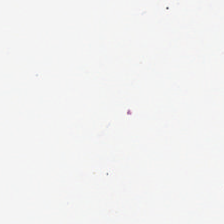Content — no tissue.
